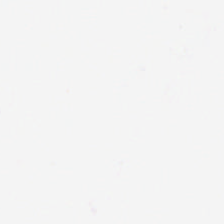Stain: hematoxylin-and-eosin stained section.
Tile size: 224×224 pixel tile.
Content: empty background.
